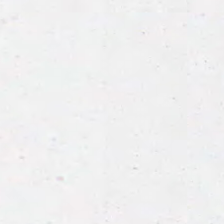Stain: H&E.
Classification: no tissue.
